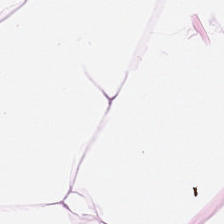H&E-stained tissue section · WSI patch · 224×224 px patch — {"tissue_type": "fat tissue"}
